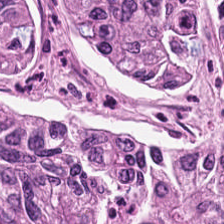H&E.
Tissue = colorectal adenocarcinoma epithelium.
